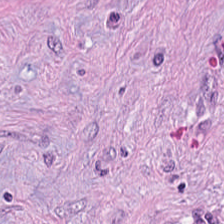H&E stain. Q: What is shown in this field?
A: It is tumor-associated stroma.
